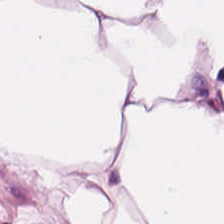Hematoxylin and eosin; FFPE tissue section; 0.5 microns per pixel.
{"tissue_type": "fat tissue"}
